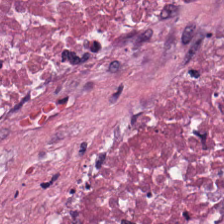The predominant tissue is cellular debris.
